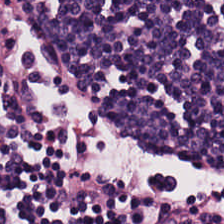224×224 px tile; hematoxylin and eosin — Predominantly lymphocytic infiltrate.
